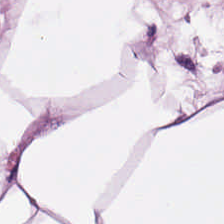Hematoxylin-and-eosin stained section · brightfield. Classification: fat tissue.
